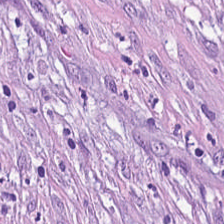Hematoxylin-and-eosin stained section. The tissue type is tumor-associated stroma.
